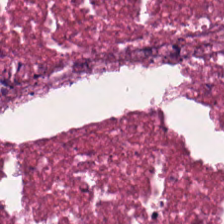0.5 microns per pixel · hematoxylin-and-eosin stained section.
The predominant tissue is necrotic debris.
